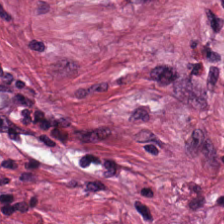H&E-stained tissue section · 224×224 pixel tile — Predominantly cancer-associated stroma.
